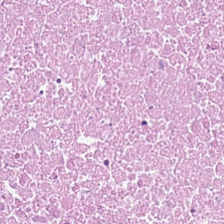0.5 microns per pixel. WSI patch. H&E — Q: Identify the tissue.
A: This is debris.
